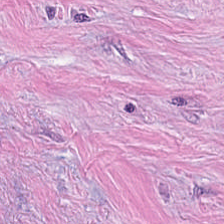H&E. Tissue = tumor-associated stroma.
